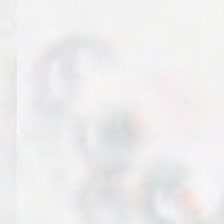Hematoxylin and eosin. Finding → empty background.
